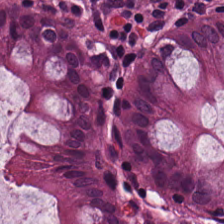FFPE tissue section. WSI patch. H&E-stained tissue section — The predominant tissue is normal colon mucosa.
